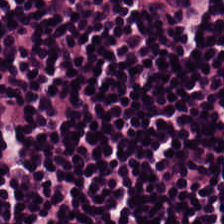H&E stain. {"tissue_type": "lymphocytes"}
